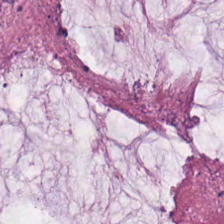Stain: H&E.
Predominant tissue: mucin.
